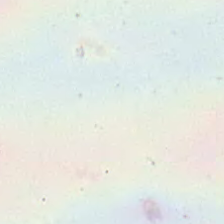Stain: H&E.
Classification: no tissue.
